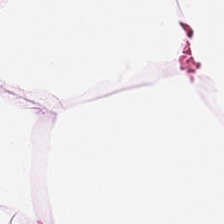Hematoxylin-and-eosin stained section — This patch shows adipose tissue.
